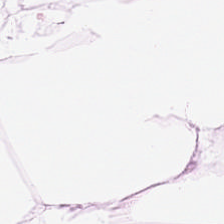H&E-stained tissue section.
Predominantly adipose tissue.
